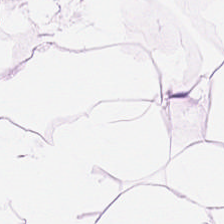Hematoxylin and eosin — Showing fat tissue.
